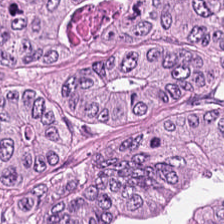0.5 microns per pixel · H&E-stained tissue section — Showing colorectal adenocarcinoma.
